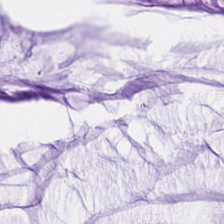Stain: H&E-stained tissue section.
Tissue class: mucin.
